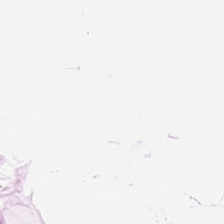FFPE tissue section. H&E stain.
Showing adipose.
